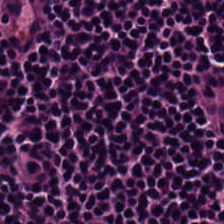Hematoxylin-and-eosin stained section; 0.5 microns per pixel.
Tissue type — lymphocyte aggregate.
